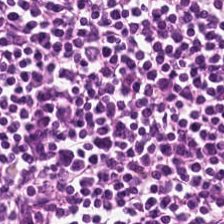Stain: H&E.
Classification: lymphocytes.
